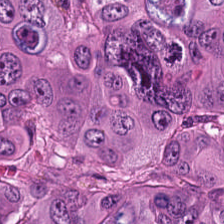H&E. The tissue is malignant epithelium.
